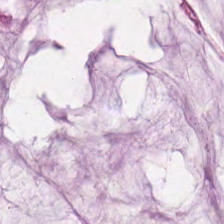H&E.
This patch shows extracellular mucin.
